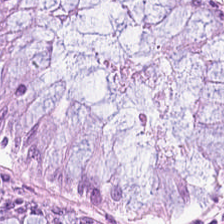H&E-stained tissue section — Impression → normal colon mucosa.
